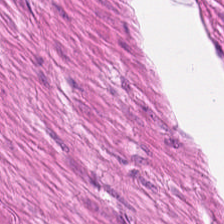Brightfield microscopy. 224×224 px tile. H&E stain. Showing muscularis.
